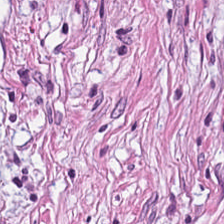Classification — desmoplastic stroma.
